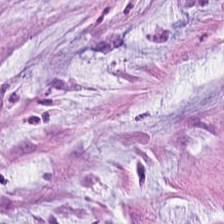Tissue type — extracellular mucin.
